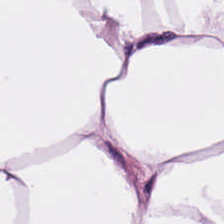224×224 pixel tile · hematoxylin and eosin · 0.5 µm per pixel.
Fat tissue.
